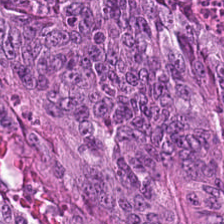H&E; 224×224 px tile — Showing colorectal adenocarcinoma.
